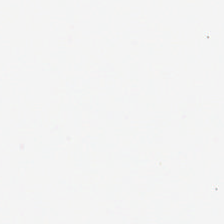Hematoxylin-and-eosin stained section. Whole-slide-image patch — This patch shows background (no tissue).
